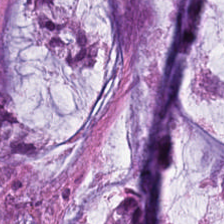H&E. Q: What type of tissue is this?
A: It is extracellular mucin.
